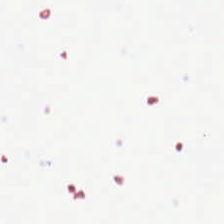Hematoxylin-and-eosin stained section — {"content": "background (no tissue)"}
